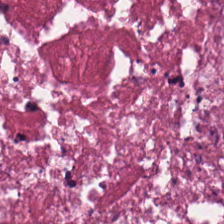H&E — The predominant tissue is cellular debris.
